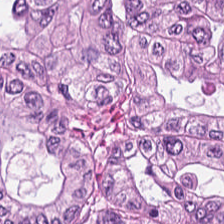Stain: H&E-stained tissue section.
Tissue: colorectal adenocarcinoma epithelium.
